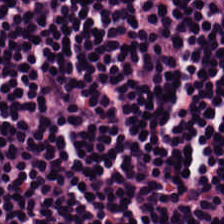H&E stain. This field is lymphocyte aggregate.
